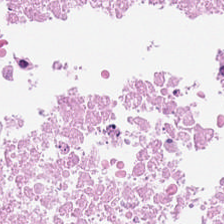224×224 pixel tile · hematoxylin-and-eosin stained section — The classification is cellular debris.
